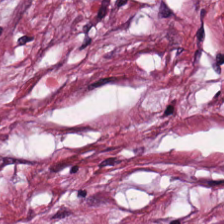H&E — {"tissue_type": "tumor-associated stroma"}
